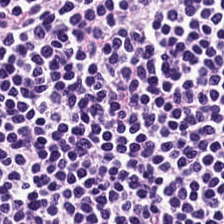H&E stain. This field is lymphocytes.
